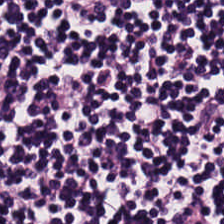H&E stain; 20× equivalent magnification.
The predominant tissue is lymphocyte aggregate.
